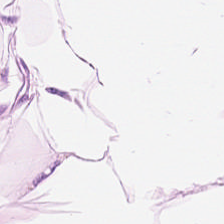Predominant tissue: adipocytes.
